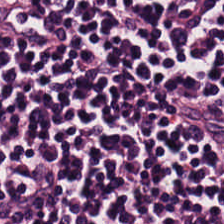H&E stain; 224×224 px patch; brightfield microscopy. Showing lymphoid infiltrate.
